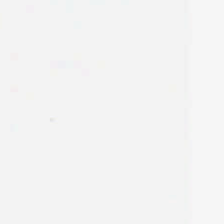{"content": "no tissue"}
